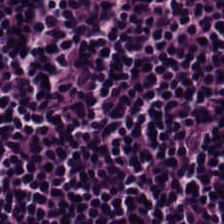Stain: hematoxylin and eosin.
Tissue class: lymphocytic infiltrate.
